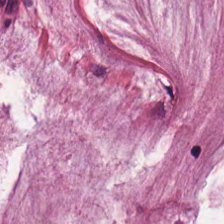The tissue is mucus.
